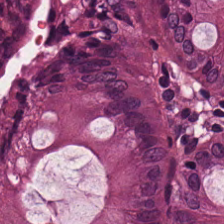Hematoxylin and eosin.
Tissue class — non-neoplastic colon mucosa.
